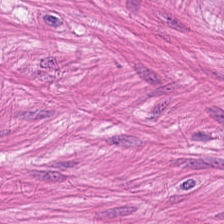H&E stain.
Tissue — muscularis.
